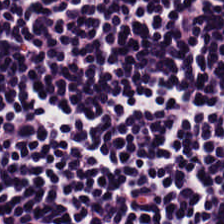Hematoxylin and eosin. The predominant tissue is lymphocyte aggregate.
